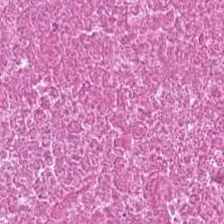Impression → debris.
